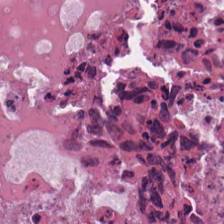H&E-stained tissue section. This field is necrotic debris.
